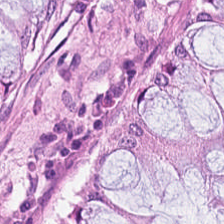Impression — normal colon mucosa.
